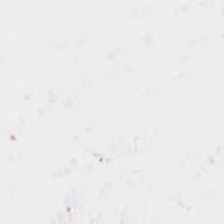No tissue.
